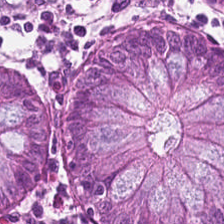H&E; brightfield microscopy — Q: What tissue type is shown here?
A: It is non-neoplastic colon mucosa.
